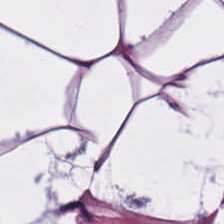The predominant tissue is adipocytes.
